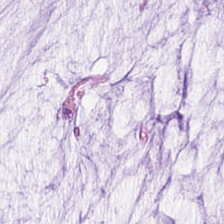0.5 microns per pixel; H&E. Q: What tissue type is shown here?
A: Mucin.
